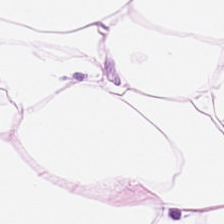224×224 px tile; hematoxylin-and-eosin stained section. Q: What is the predominant tissue type?
A: It is adipose tissue.
